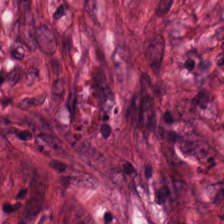Hematoxylin-and-eosin stained section — Tissue class = tumor stroma.
